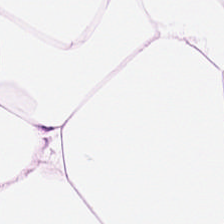H&E; brightfield microscopy. Classification: adipocytes.
